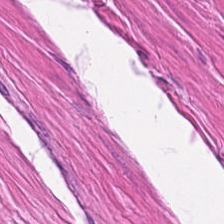This patch shows smooth-muscle tissue.
